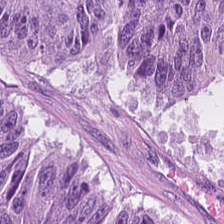H&E-stained tissue section. Predominantly adenocarcinoma.
